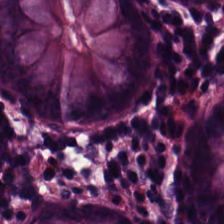H&E.
Impression → benign colonic mucosa.
